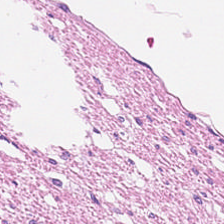Stain: H&E-stained tissue section.
Tissue class: muscularis.
